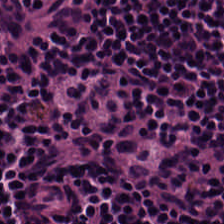H&E stain · 224×224 pixel tile · FFPE. This field is lymphoid infiltrate.
